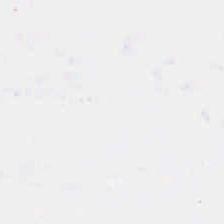Stain: H&E stain.
Field content: background (no tissue).
